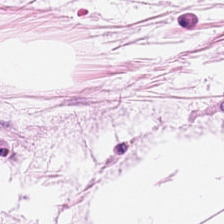WSI patch · H&E stain. Impression — fat tissue.
